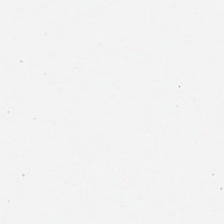H&E-stained tissue section. Background.
